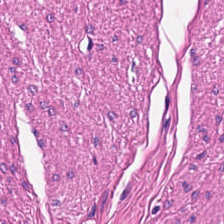Stain: H&E.
Acquisition: WSI patch.
Resolution: 20× equivalent magnification.
Tissue class: smooth-muscle tissue.
